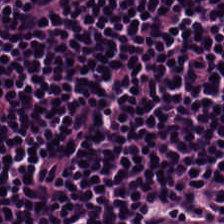H&E — {"tissue_type": "lymphocytic infiltrate"}
